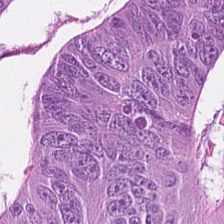Stain: H&E.
Classification: colorectal adenocarcinoma epithelium.
